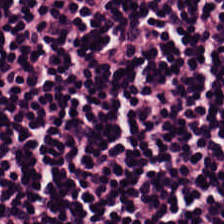Histology → lymphocytes.
